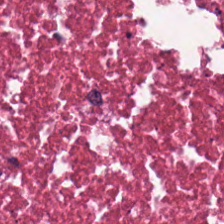0.5 microns per pixel · hematoxylin and eosin · brightfield microscopy — Classification = cellular debris.
